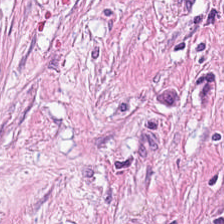Hematoxylin-and-eosin stained section · 224×224 px patch. {"tissue_type": "tumor-associated stroma"}
